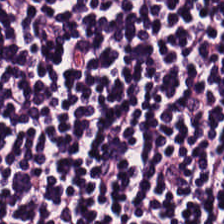Showing lymphoid infiltrate.
